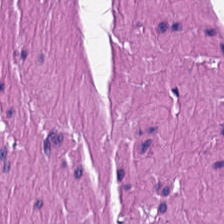Hematoxylin-and-eosin stained section. Tissue class = muscularis.
